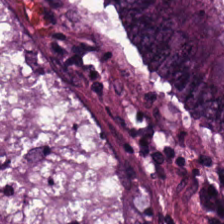H&E · WSI patch. This patch shows colorectal adenocarcinoma.
